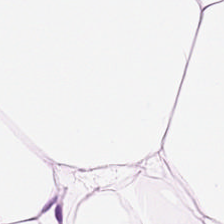224×224 pixel tile · hematoxylin-and-eosin stained section — This field is fat tissue.
